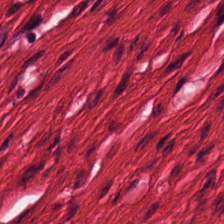Finding → smooth muscle.
